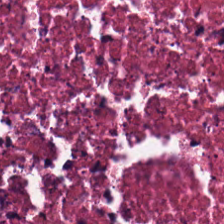Hematoxylin and eosin. Tissue class: debris.
